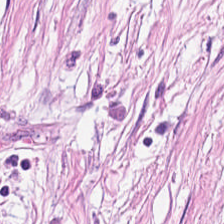H&E. This patch shows cancer-associated stroma.
